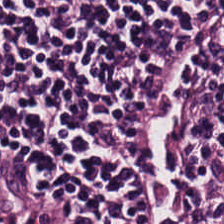H&E stain.
{"tissue_type": "lymphocyte aggregate"}
